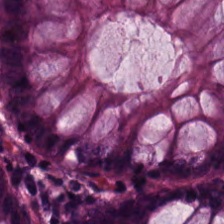Q: Identify the tissue.
A: It is normal colon mucosa.
